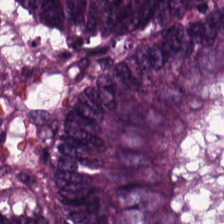Stain: hematoxylin-and-eosin stained section.
Predominant tissue: tumor epithelium.
